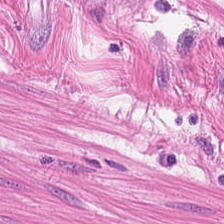H&E.
Predominantly muscularis.
